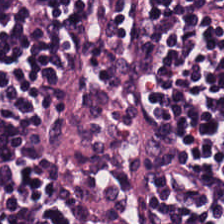Predominantly lymphocyte aggregate.
